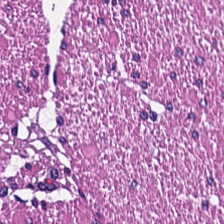FFPE; H&E-stained tissue section. The predominant tissue is smooth muscle.
